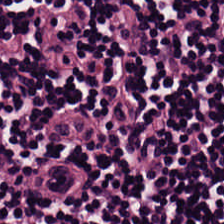Formalin-fixed paraffin-embedded section; 224×224 px patch; H&E stain.
Predominantly lymphocyte aggregate.
